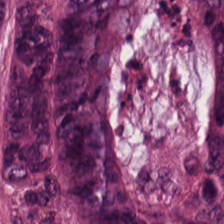Hematoxylin-and-eosin stained section.
{"tissue_type": "colorectal adenocarcinoma"}
